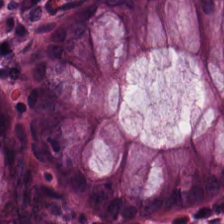Formalin-fixed paraffin-embedded section · 224×224 px patch · H&E stain. Tissue class: normal colon mucosa.
